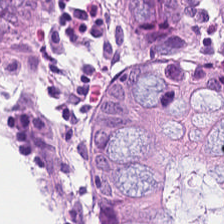H&E — The tissue is benign colonic mucosa.
